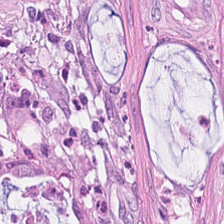0.5 microns per pixel. H&E. Brightfield microscopy — Q: What is shown here?
A: Tumor-associated stroma.
